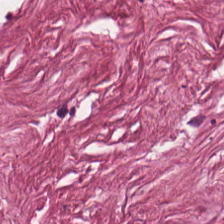The predominant tissue is tumor-associated stroma.
